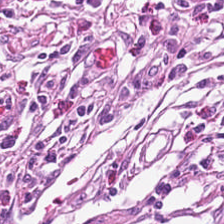H&E-stained tissue section; formalin-fixed paraffin-embedded section. Classification — cancer-associated stroma.
